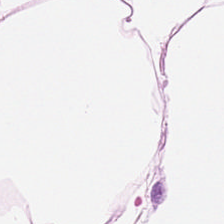H&E-stained tissue section. Histology — adipose tissue.
